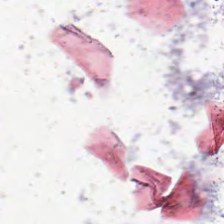Hematoxylin-and-eosin stained section.
The field content is empty background.
